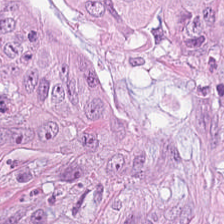Hematoxylin-and-eosin stained section. Brightfield. 224×224 px tile.
Q: What tissue is shown?
A: Adenocarcinoma.
